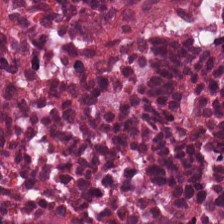The tissue class is debris.
